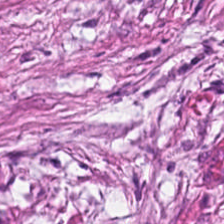Hematoxylin and eosin — The predominant tissue is tumor-associated stroma.
